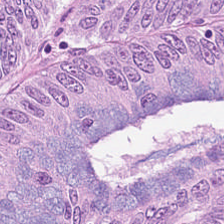224×224 px patch · hematoxylin-and-eosin stained section — Tissue: colorectal adenocarcinoma.
